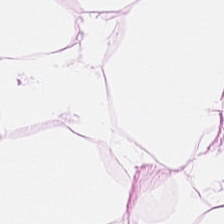H&E-stained tissue section. Predominantly adipose tissue.
